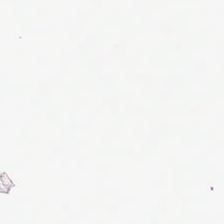Whole-slide-image patch; H&E stain; FFPE. Background — no tissue in this field.
